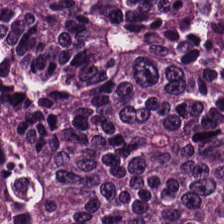H&E stain.
Predominantly tumor epithelium.
